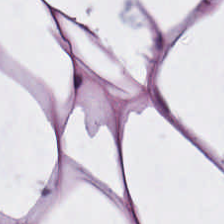H&E stain — Q: What is the predominant tissue type?
A: The field shows adipocytes.
